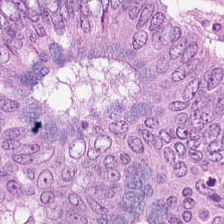Q: What is shown in this field?
A: It is adenocarcinoma.
